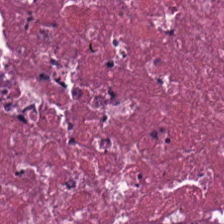Stain: hematoxylin and eosin.
Tissue class: debris.
